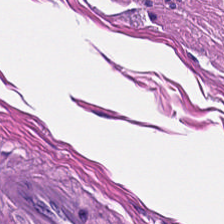Stain: hematoxylin and eosin.
Classification: smooth-muscle tissue.
